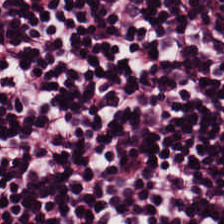H&E-stained tissue section showing lymphoid infiltrate.
